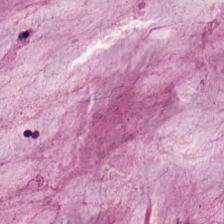Stain: hematoxylin and eosin.
Tissue: extracellular mucin.
